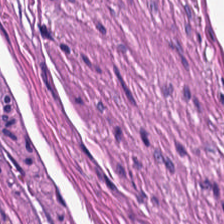Hematoxylin-and-eosin stained section. WSI patch.
This patch shows smooth-muscle tissue.
